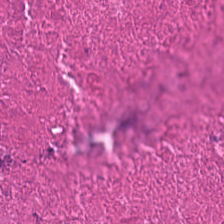Q: What is shown in this field?
A: The field shows cellular debris.
